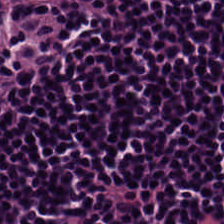Hematoxylin and eosin · formalin-fixed paraffin-embedded section.
Q: Identify the tissue.
A: It is lymphocytes.
